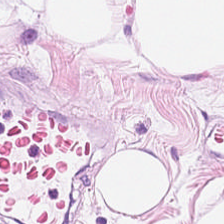Brightfield; hematoxylin-and-eosin stained section; 224×224 px patch. Predominantly fat tissue.
